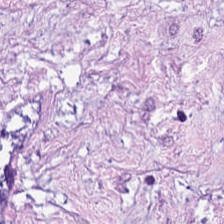FFPE; H&E.
Tissue = tumor-associated stroma.
